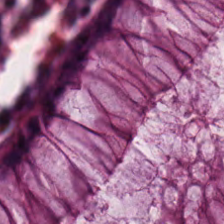0.5 µm per pixel. H&E-stained tissue section. Showing normal colonic mucosa.
